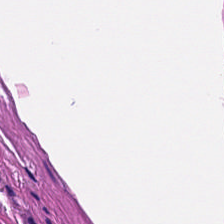H&E · 224×224 px patch.
The tissue class is smooth-muscle tissue.
